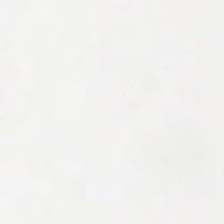Hematoxylin and eosin — Q: What is shown here?
A: It is background (no tissue).
